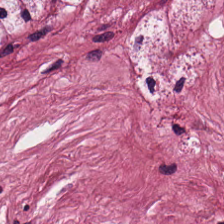H&E-stained tissue section.
{"tissue_type": "tumor-associated stroma"}
